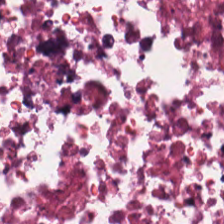224×224 pixel tile; FFPE tissue section; hematoxylin and eosin — This patch shows cellular debris.
